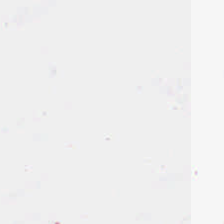Hematoxylin and eosin.
Content: empty background.
